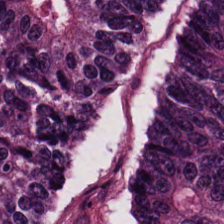Hematoxylin and eosin. The predominant tissue is colorectal adenocarcinoma epithelium.
